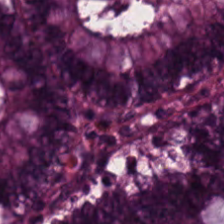H&E. The tissue class is non-neoplastic colon mucosa.
